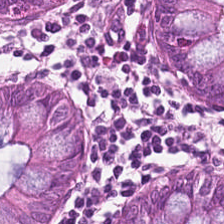H&E-stained tissue section. Q: Identify the tissue.
A: It is normal colon mucosa.
